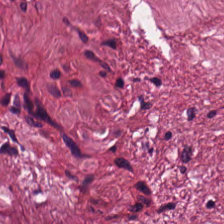224×224 px patch; H&E stain.
Classification: tumor-associated stroma.
